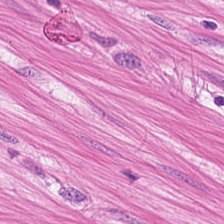FFPE · hematoxylin and eosin. Showing smooth-muscle tissue.
